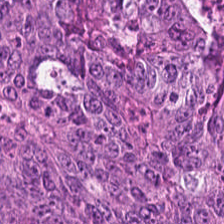224×224 px patch; H&E; brightfield microscopy — Tumor epithelium.
